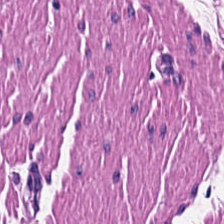Hematoxylin-and-eosin stained section.
Q: What type of tissue is this?
A: It is smooth-muscle tissue.
